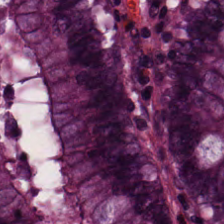H&E stain — This patch shows non-neoplastic colon mucosa.
